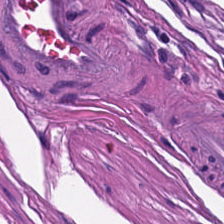Hematoxylin and eosin. Tissue class — muscularis.
